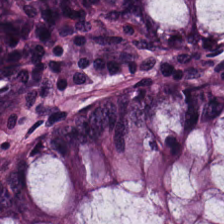Q: Identify the tissue.
A: It is benign colonic mucosa.
